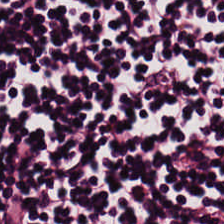Stain: H&E stain.
Tile size: 224×224 pixel tile.
Tissue type: lymphoid infiltrate.
